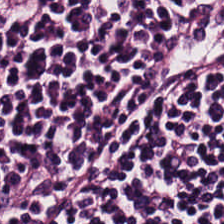Hematoxylin-and-eosin stained section — Q: Identify the tissue.
A: The field shows lymphocytes.
